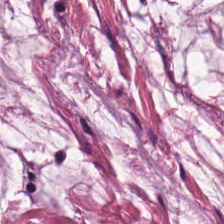Tissue = mucus.
